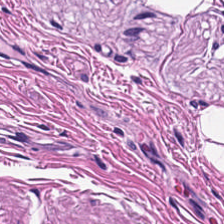Stain: H&E-stained tissue section.
Preparation: formalin-fixed paraffin-embedded section.
Acquisition: brightfield.
Tissue: muscularis.
